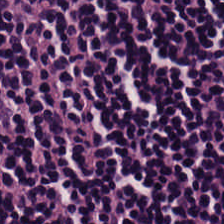Stain: H&E stain.
Acquisition: whole-slide-image patch.
Predominant tissue: lymphoid infiltrate.
